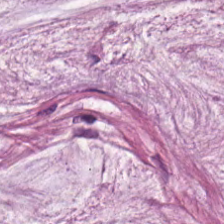Hematoxylin and eosin — Q: What tissue type is shown here?
A: The field shows mucus.
